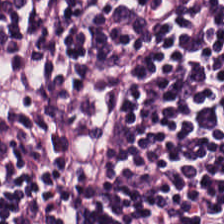20× equivalent magnification. Hematoxylin-and-eosin stained section. 224×224 px patch. Q: What type of tissue is this?
A: Lymphocytic infiltrate.
